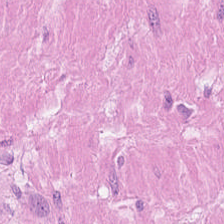H&E-stained tissue section. Predominantly muscularis.
